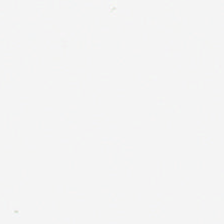Hematoxylin and eosin; FFPE. This patch shows no tissue.
